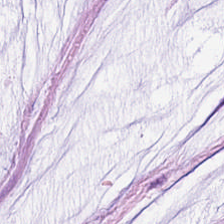H&E stain — Classification = mucus.
